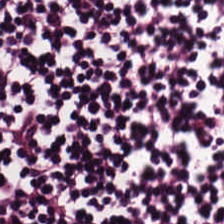H&E — lymphocytes.
